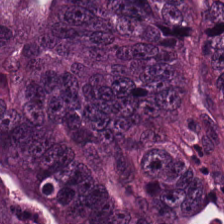0.5 µm/px · H&E-stained tissue section. Impression → adenocarcinoma.
